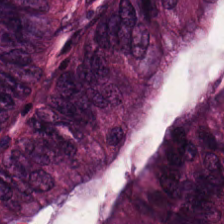Q: What type of tissue is this?
A: It is colorectal adenocarcinoma.
